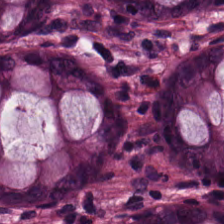Hematoxylin-and-eosin stained section — Normal colon mucosa.
